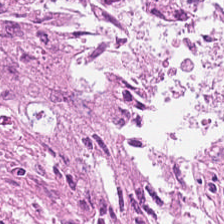Impression — malignant epithelium.
